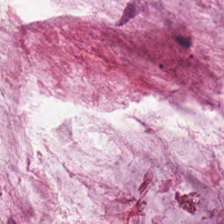Stain: H&E.
Tissue class: mucin.
